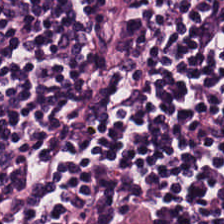0.5 µm/px; 224×224 pixel tile; hematoxylin and eosin — Q: Identify the tissue.
A: It is lymphocytic infiltrate.
